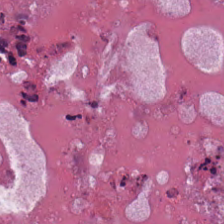H&E — Q: What is shown here?
A: This is necrotic debris.
